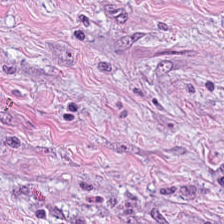H&E — Q: What is shown here?
A: The field shows desmoplastic stroma.
